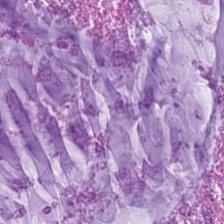WSI patch. H&E — The tissue type is mucin.
